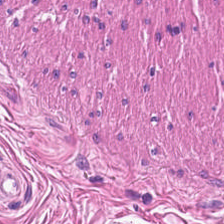Histology → smooth-muscle tissue.
